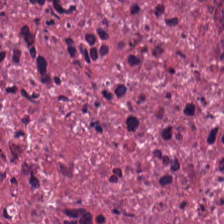Hematoxylin and eosin — Tissue class = necrotic debris.
